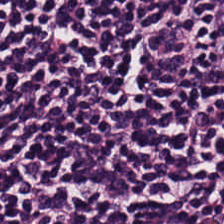H&E · formalin-fixed paraffin-embedded section.
Predominantly lymphocytes.
